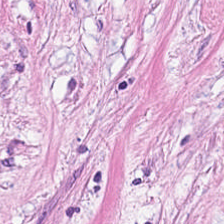H&E-stained tissue section. Showing tumor stroma.
